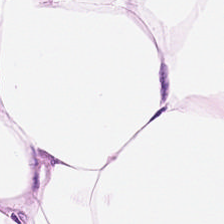Stain: hematoxylin and eosin.
Resolution: 0.5 µm per pixel.
Tissue: adipose.
